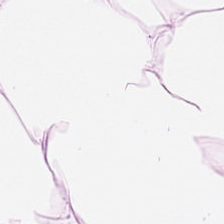Formalin-fixed paraffin-embedded section; hematoxylin-and-eosin stained section. Q: What is shown in this field?
A: This is fat tissue.
